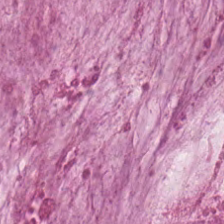H&E-stained tissue section — Predominantly extracellular mucin.
